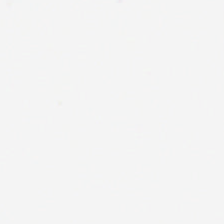H&E — This patch shows empty background.
